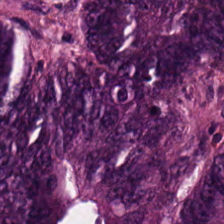The tissue here is adenocarcinoma.
